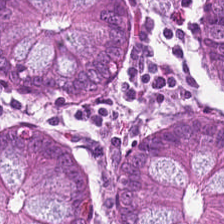H&E — Classification = benign colonic mucosa.
